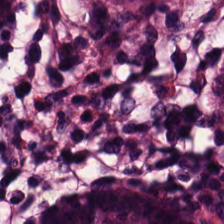Stain: H&E-stained tissue section.
Predominant tissue: normal colonic mucosa.
